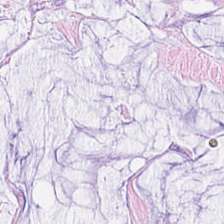H&E-stained tissue section · 0.5 microns per pixel · 224×224 pixel tile.
Predominant tissue — extracellular mucin.
